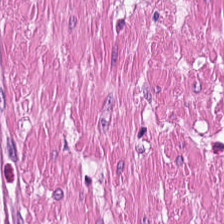Smooth muscle.
